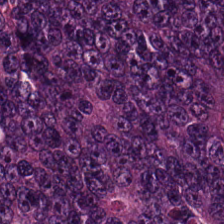H&E stain — This patch shows malignant epithelium.
